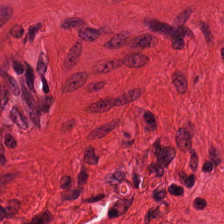H&E stain. The predominant tissue is smooth muscle.
